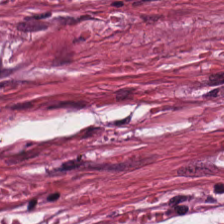Q: Identify the tissue.
A: The field shows desmoplastic stroma.
